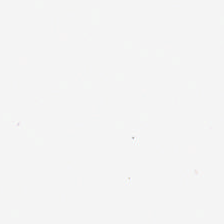Hematoxylin and eosin; FFPE tissue section.
Empty field — no tissue.
